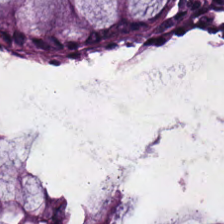224×224 px patch · H&E-stained tissue section. Showing normal colon mucosa.
